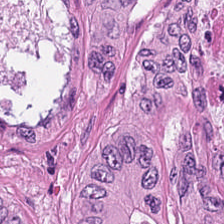224×224 px patch; formalin-fixed paraffin-embedded section; hematoxylin and eosin. The tissue here is colorectal adenocarcinoma epithelium.
